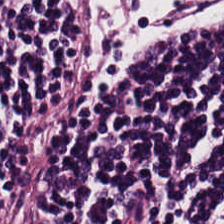H&E-stained tissue section. 20× equivalent magnification — The predominant tissue is lymphoid infiltrate.
